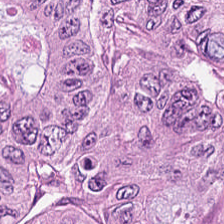Q: Classify this patch.
A: It is adenocarcinoma.
